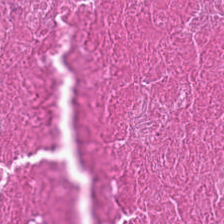H&E; formalin-fixed paraffin-embedded section — Classification — necrotic debris.
